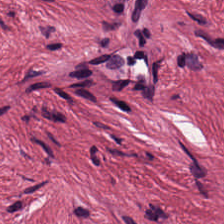Stain: H&E.
Tissue type: desmoplastic stroma.
